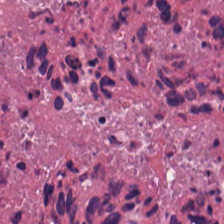H&E — The tissue class is necrotic debris.
